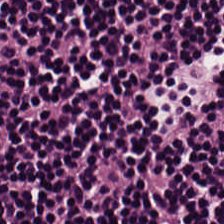0.5 µm per pixel; hematoxylin-and-eosin stained section.
Histology — lymphocytic infiltrate.
